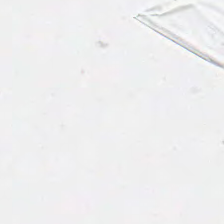224×224 px tile; H&E-stained tissue section. The field content is no tissue.
